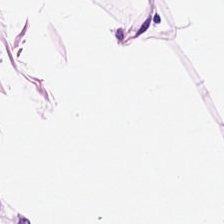H&E-stained tissue section.
Predominantly adipose tissue.
